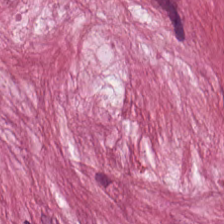H&E — Predominantly tumor-associated stroma.
